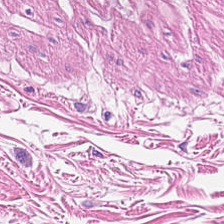H&E.
{"tissue_type": "muscularis"}
